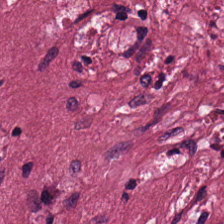0.5 microns per pixel · H&E stain · formalin-fixed paraffin-embedded section — Tumor-associated stroma.
